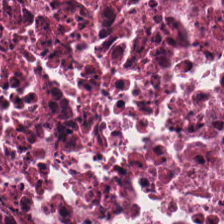Hematoxylin and eosin. Brightfield. 0.5 µm per pixel.
This field is cellular debris.
